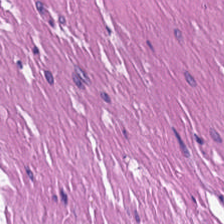Brightfield. H&E. 224×224 px tile.
This patch shows smooth muscle.
